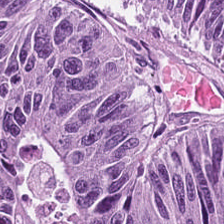H&E · 224×224 px tile.
This field is colorectal adenocarcinoma epithelium.
